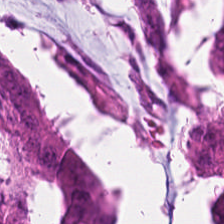Showing malignant epithelium.
